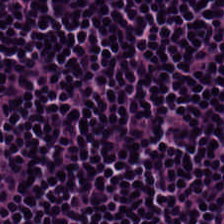Tissue: lymphoid infiltrate.
